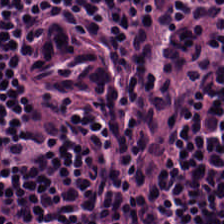Hematoxylin and eosin. Finding → lymphocyte aggregate.
